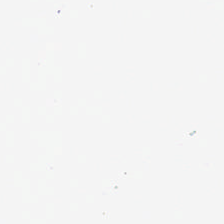H&E stain. Q: Classify this patch.
A: It is empty background.
